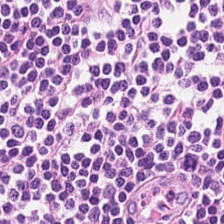The tissue type is lymphocyte aggregate.
